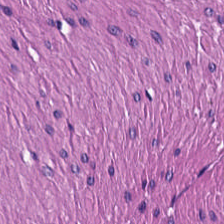Hematoxylin and eosin. Q: What tissue type is shown here?
A: Smooth-muscle tissue.
